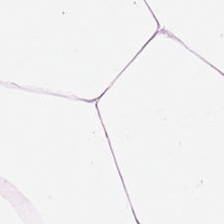{"tissue_type": "adipocytes"}
